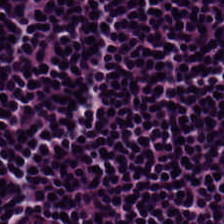H&E — Classification: lymphoid infiltrate.
